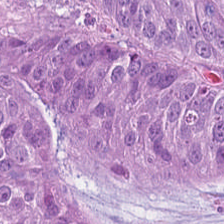Hematoxylin-and-eosin stained section — Tissue type — adenocarcinoma.
